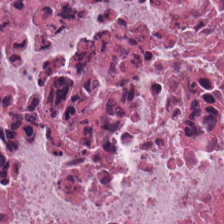Hematoxylin and eosin; 20× equivalent magnification; brightfield microscopy. The predominant tissue is necrotic debris.
